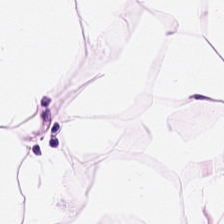H&E.
The tissue is adipocytes.
